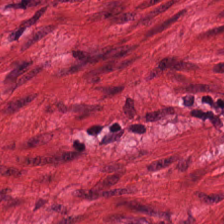Whole-slide-image patch; hematoxylin and eosin; 224×224 px patch. {"tissue_type": "muscularis"}
